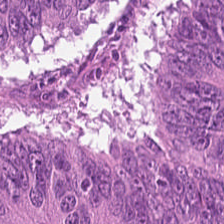Hematoxylin and eosin.
Adenocarcinoma.
